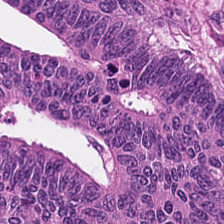The predominant tissue is tumor epithelium.
